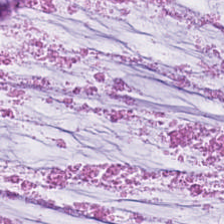Stain: H&E stain.
Predominant tissue: mucus.
